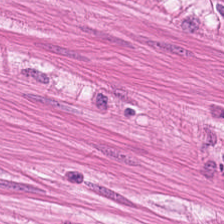FFPE. H&E stain.
Tissue type — smooth muscle.
